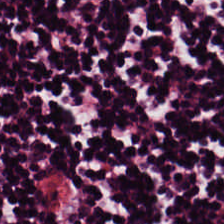Hematoxylin-and-eosin stained section. Tissue: lymphocytes.
